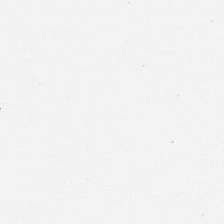224×224 px patch · 0.5 microns per pixel · hematoxylin-and-eosin stained section.
Finding — empty background.
